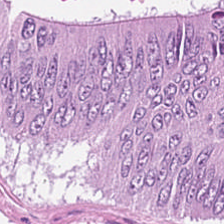The tissue is malignant epithelium.
